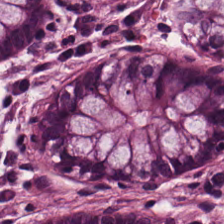224×224 px patch · H&E stain.
Q: Classify this patch.
A: The field shows benign colonic mucosa.
